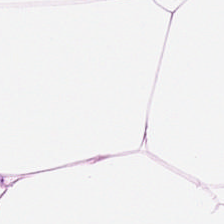Stain: hematoxylin-and-eosin stained section.
Predominant tissue: adipose.
